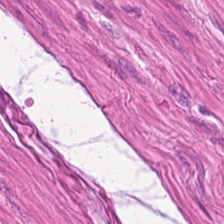H&E stain — Showing muscularis.
